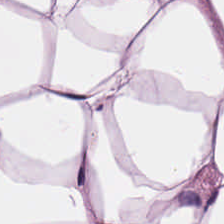Stain: hematoxylin and eosin.
Tissue type: adipose tissue.
